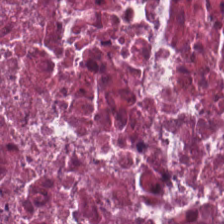Finding → cellular debris.
